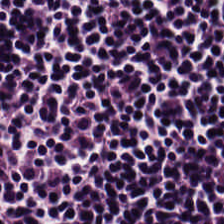H&E. The tissue here is lymphocytic infiltrate.
